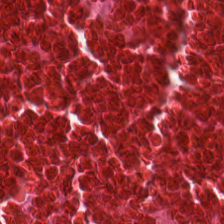Formalin-fixed paraffin-embedded section. Hematoxylin and eosin. This field is cellular debris.
